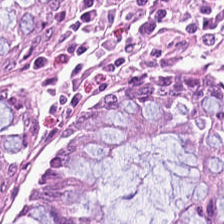Brightfield microscopy. FFPE tissue section. H&E — This field is benign colonic mucosa.
